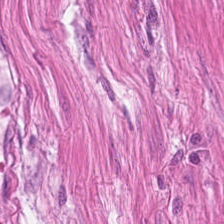H&E. The tissue here is muscularis.
